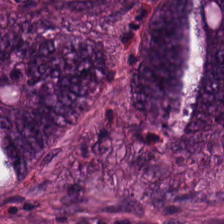Q: What is the predominant tissue type?
A: The field shows tumor epithelium.
